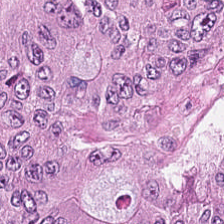Tumor epithelium.
